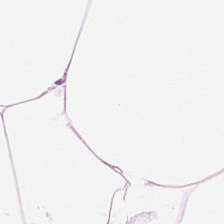WSI patch · H&E stain. Showing adipose tissue.
